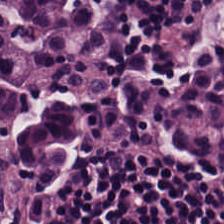Hematoxylin-and-eosin stained section. Whole-slide-image patch. FFPE tissue section. The predominant tissue is lymphocytic infiltrate.
